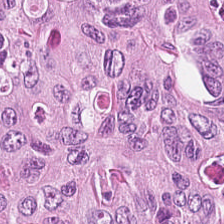0.5 microns per pixel · brightfield microscopy · H&E stain. This patch shows malignant epithelium.
